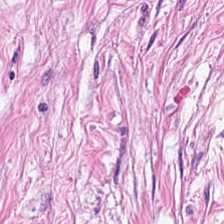Q: Identify the tissue.
A: It is cancer-associated stroma.
